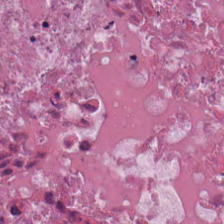Stain: H&E.
Classification: debris.
